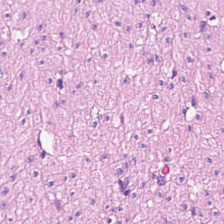Hematoxylin-and-eosin stained section — The tissue type is smooth muscle.
